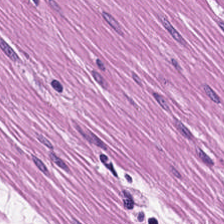Hematoxylin-and-eosin stained section.
This patch shows smooth muscle.
